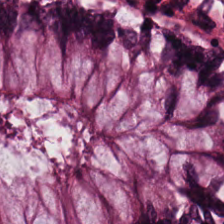Hematoxylin and eosin; FFPE; 224×224 px tile — Classification = non-neoplastic colon mucosa.
